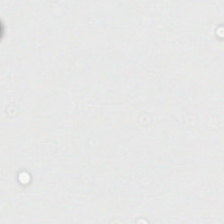H&E; 224×224 px patch.
Q: What does this patch show?
A: This is no tissue.
